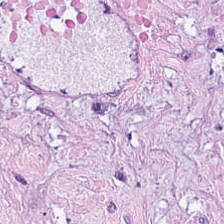H&E-stained tissue section. This patch shows cancer-associated stroma.
